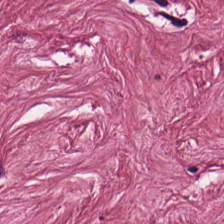Impression → cancer-associated stroma.
